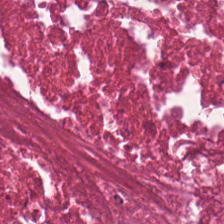H&E — Q: What tissue is shown?
A: This is debris.
